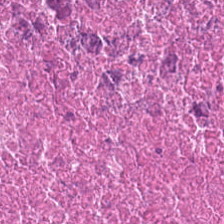H&E. 224×224 px patch. 0.5 µm/px. Impression → necrotic debris.
